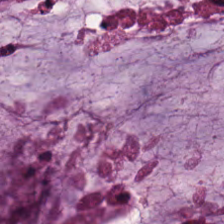H&E · WSI patch — This field is extracellular mucin.
